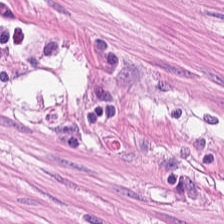Hematoxylin-and-eosin stained section. FFPE tissue section. WSI patch. The tissue is smooth-muscle tissue.
